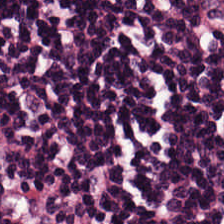This patch shows lymphoid infiltrate.
